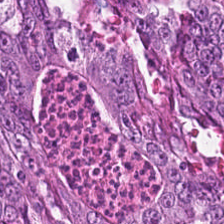Predominantly colorectal adenocarcinoma.
